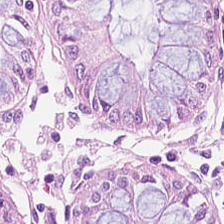Stain: H&E.
Acquisition: WSI patch.
Resolution: 20× equivalent magnification.
Classification: non-neoplastic colon mucosa.
